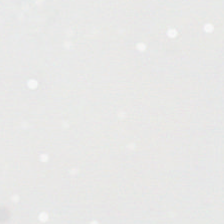H&E-stained tissue section. 224×224 px tile. Background — no tissue in this field.
